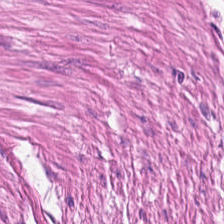0.5 µm/px · brightfield · H&E.
This patch shows muscularis.
